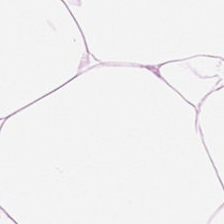H&E-stained tissue section. Q: What tissue type is shown here?
A: It is adipocytes.
